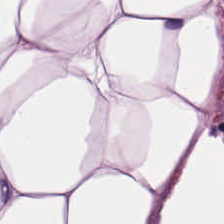224×224 pixel tile. Hematoxylin-and-eosin stained section — Tissue = adipose tissue.
